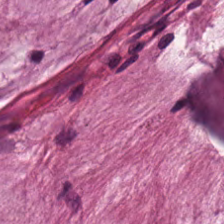20× equivalent magnification; H&E-stained tissue section.
The tissue here is mucin.
